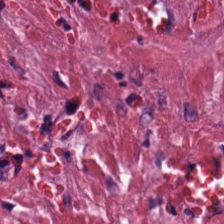Stain: H&E-stained tissue section.
Tissue class: desmoplastic stroma.
